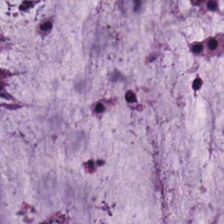H&E-stained tissue section · 0.5 microns per pixel — The predominant tissue is extracellular mucin.
